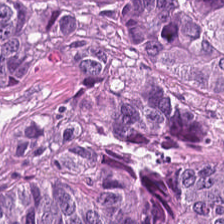Adenocarcinoma.
